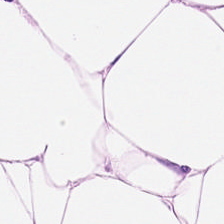0.5 µm per pixel; FFPE tissue section; hematoxylin and eosin. Q: Identify the tissue.
A: This is fat tissue.
